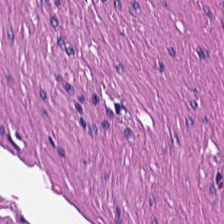Tissue class — smooth-muscle tissue.
